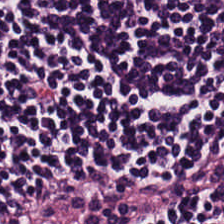Stain: H&E.
Tissue: lymphocytes.
